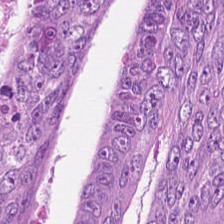The tissue type is tumor epithelium.
